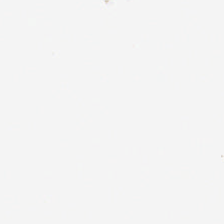Q: What is shown in this field?
A: This is no tissue.
